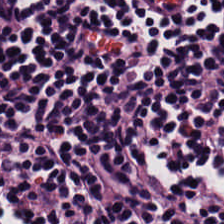Hematoxylin and eosin — Tissue class = lymphocytic infiltrate.
